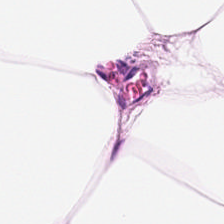Hematoxylin-and-eosin stained section — This patch shows fat tissue.
